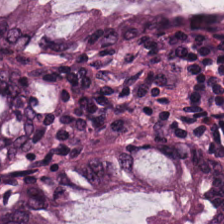WSI patch · H&E. Q: What is the predominant tissue type?
A: This is normal colonic mucosa.
